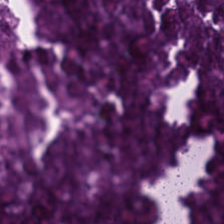H&E stain — Showing cellular debris.
